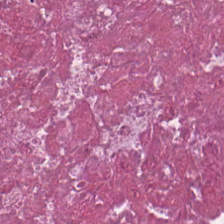H&E; WSI patch — Cellular debris.
